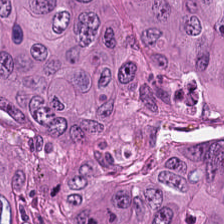Q: What tissue is shown?
A: Tumor epithelium.
